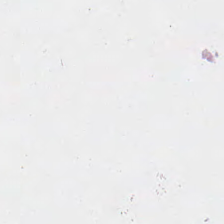Classification = no tissue.
